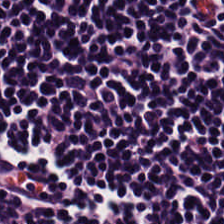H&E stain. The predominant tissue is lymphocytic infiltrate.
